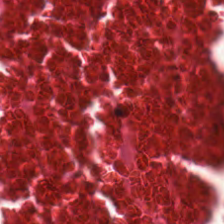Stain: H&E.
Classification: necrotic debris.
